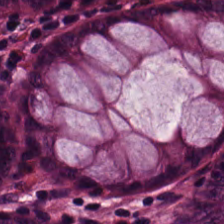This field is benign colonic mucosa.
